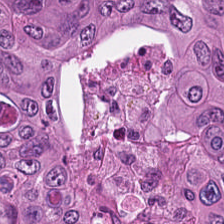Tissue type: malignant epithelium.
